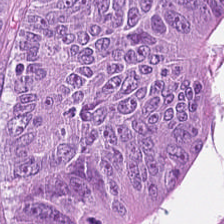Brightfield. 0.5 µm/px. H&E — Finding → malignant epithelium.
